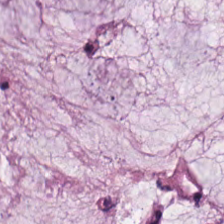Q: Classify this patch.
A: The field shows mucus.
